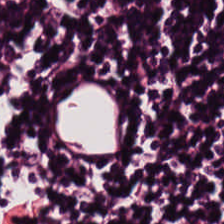H&E — The tissue class is lymphocytic infiltrate.
